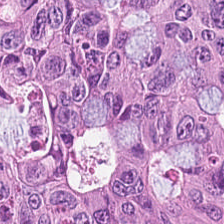Hematoxylin-and-eosin stained section. Predominantly colorectal adenocarcinoma.
